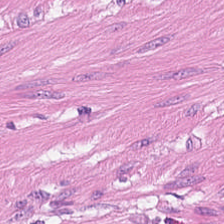H&E stain. This field is smooth muscle.
